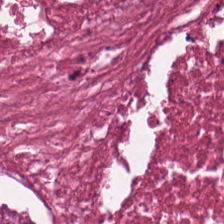Stain: H&E-stained tissue section.
Tissue: necrotic debris.
